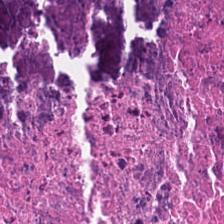H&E-stained tissue section — Tissue class: necrotic debris.
